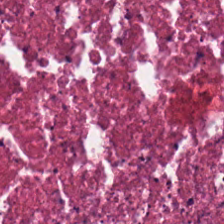Stain: H&E stain.
Preparation: formalin-fixed paraffin-embedded section.
Acquisition: brightfield microscopy.
Predominant tissue: debris.
